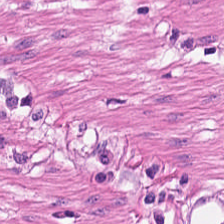H&E — Q: Classify this patch.
A: The field shows smooth-muscle tissue.
